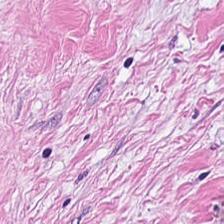H&E stain; brightfield — The classification is desmoplastic stroma.
